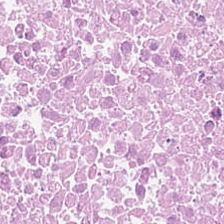H&E-stained section; the field shows necrotic debris.
